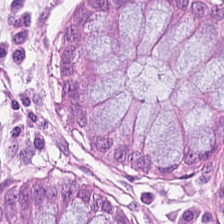Stain: hematoxylin-and-eosin stained section.
Classification: normal colon mucosa.
